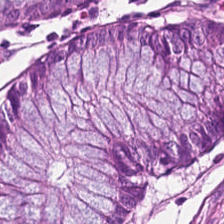Hematoxylin-and-eosin stained section. Predominant tissue: benign colonic mucosa.
